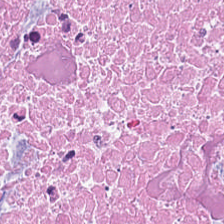Hematoxylin-and-eosin stained section — This field is necrotic debris.
